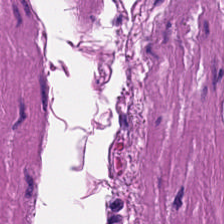Stain: H&E.
Tissue type: smooth muscle.
